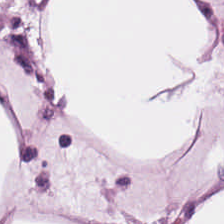Brightfield. Hematoxylin and eosin. This patch shows adipocytes.
